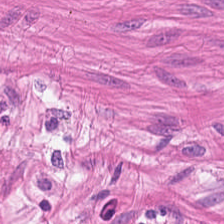Classification = smooth muscle.
